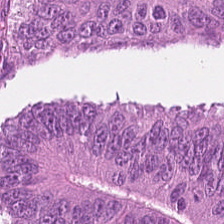H&E-stained tissue section. The tissue here is tumor epithelium.
